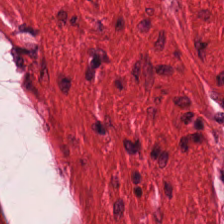0.5 microns per pixel · H&E-stained tissue section · formalin-fixed paraffin-embedded section.
Q: What does this patch show?
A: It is smooth muscle.
